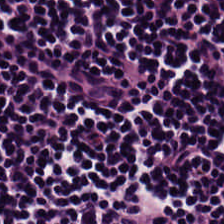Hematoxylin-and-eosin stained section.
The tissue here is lymphocytic infiltrate.
